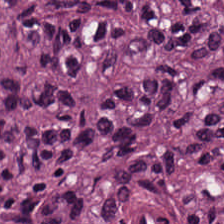Hematoxylin-and-eosin section: colorectal adenocarcinoma epithelium.
